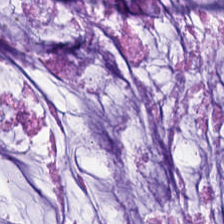FFPE. Hematoxylin-and-eosin stained section. WSI patch.
Extracellular mucin.
